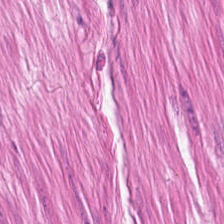The predominant tissue is smooth muscle.
